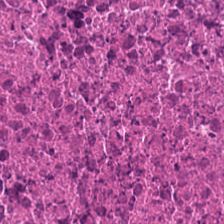Classification: cellular debris.
